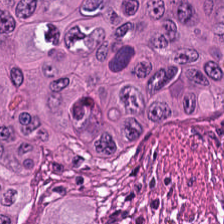The predominant tissue is malignant epithelium.
